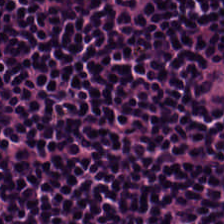H&E · 224×224 px tile · 0.5 microns per pixel — Classification — lymphocytes.
